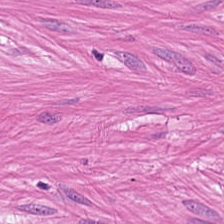Brightfield microscopy · 20× equivalent magnification · H&E-stained tissue section.
Tissue class: muscularis.
